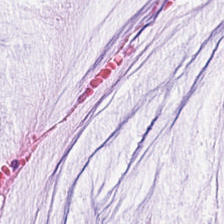H&E-stained tissue section.
The tissue here is mucus.
